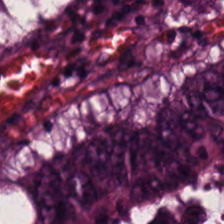H&E. 20× equivalent magnification. Predominant tissue — colorectal adenocarcinoma.
